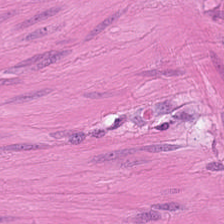Hematoxylin-and-eosin stained section.
This field is smooth muscle.
